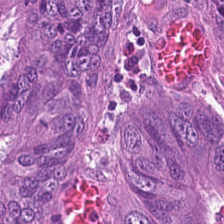Hematoxylin-and-eosin section: malignant epithelium.
